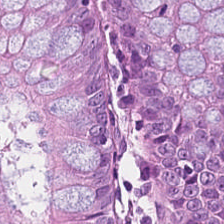H&E. 0.5 microns per pixel. The tissue class is normal colonic mucosa.
